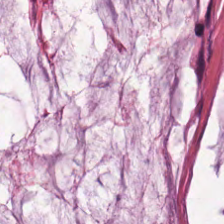The tissue here is mucin.
